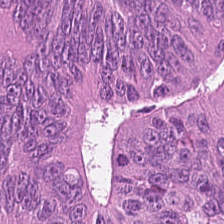H&E — Colorectal adenocarcinoma.
